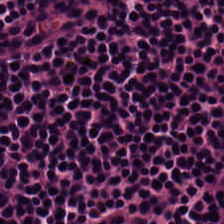H&E stain — Showing lymphoid infiltrate.
